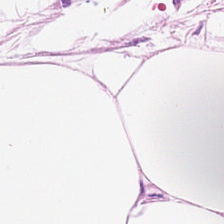Stain: hematoxylin-and-eosin stained section.
Tissue class: adipose.
